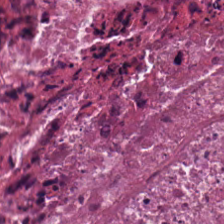H&E-stained tissue section.
Showing necrotic debris.
